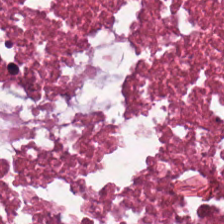H&E.
Cellular debris.
